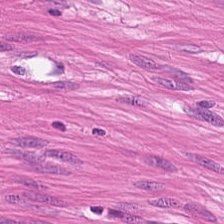Stain: H&E stain.
Predominant tissue: smooth muscle.
